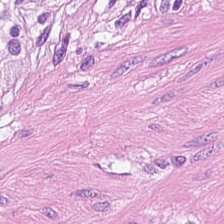H&E-stained tissue section. Histology → smooth-muscle tissue.
